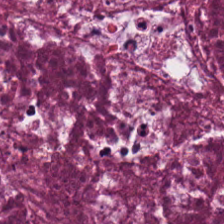Stain: hematoxylin and eosin.
Preparation: FFPE.
Predominant tissue: cellular debris.
